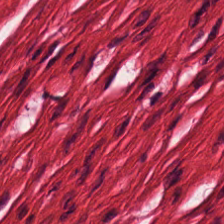H&E-stained tissue section.
Tissue type — smooth muscle.
